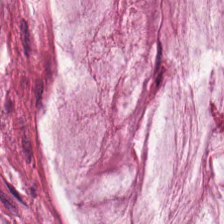H&E-stained tissue section — Mucus.
